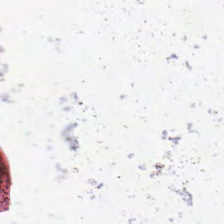Q: What is shown here?
A: This is empty background.
